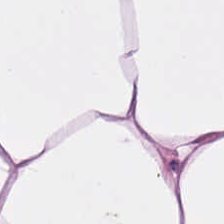Stain: H&E stain.
Tissue class: adipocytes.
